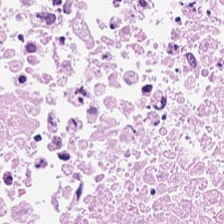H&E patch showing debris.
